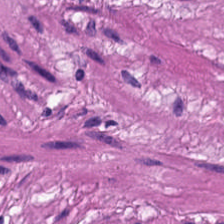Hematoxylin and eosin — Tissue type = smooth muscle.
